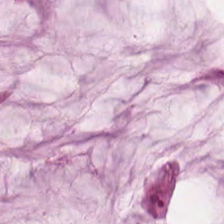H&E stain; 0.5 µm per pixel — The tissue here is mucin.
